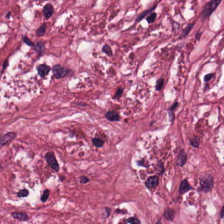Hematoxylin and eosin.
Tissue class — desmoplastic stroma.
